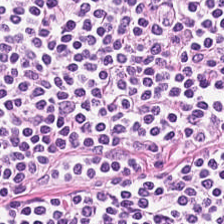Hematoxylin-and-eosin stained section.
Impression — lymphocytes.
